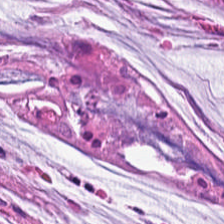0.5 µm per pixel · hematoxylin-and-eosin stained section. {"tissue_type": "mucin"}
